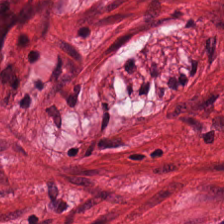224×224 px tile · formalin-fixed paraffin-embedded section · hematoxylin-and-eosin stained section. Tissue type = muscularis.
